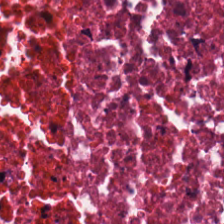Predominant tissue — cellular debris.
